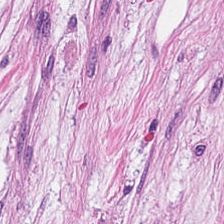0.5 microns per pixel · H&E stain — Q: What is the predominant tissue type?
A: The field shows cancer-associated stroma.
